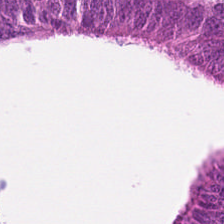Stain: H&E.
Classification: colorectal adenocarcinoma epithelium.
